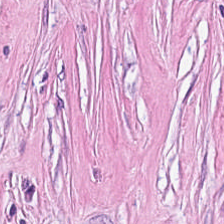20× equivalent magnification. H&E — Histology → cancer-associated stroma.
